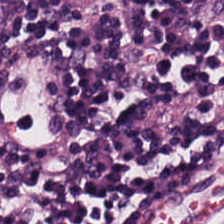Stain: H&E-stained tissue section.
Preparation: FFPE.
Tile size: 224×224 px patch.
Tissue type: lymphocyte aggregate.
